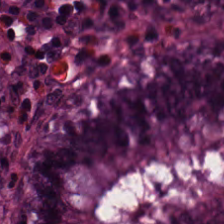Stain: hematoxylin-and-eosin stained section.
Classification: benign colonic mucosa.
